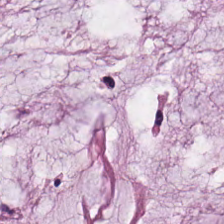Predominantly mucin.
